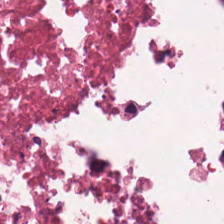WSI patch. FFPE tissue section. Hematoxylin-and-eosin stained section — Tissue — debris.
